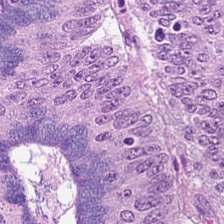H&E stain — The predominant tissue is malignant epithelium.
